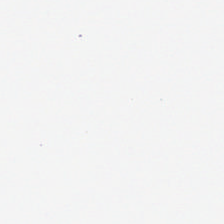H&E-stained tissue section; brightfield microscopy — Background.
